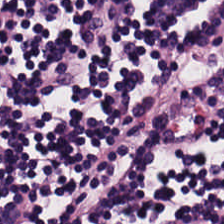H&E-stained section; the field shows lymphoid infiltrate.
